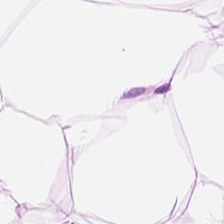Formalin-fixed paraffin-embedded section; hematoxylin and eosin. Fat tissue.
